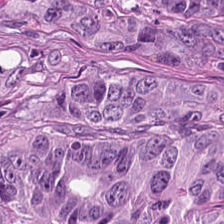H&E.
Classification: adenocarcinoma.
